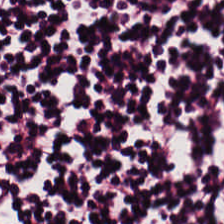Q: What tissue is shown?
A: Lymphocytes.
